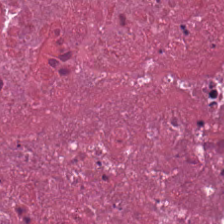Hematoxylin and eosin. 0.5 µm/px. Whole-slide-image patch. Q: What is shown in this field?
A: This is debris.
